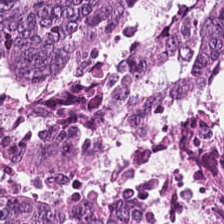H&E — Q: What is shown in this field?
A: Tumor epithelium.
